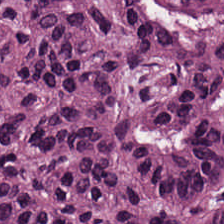Tissue class — malignant epithelium.
